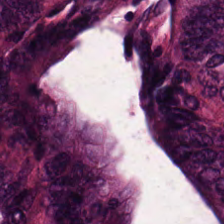H&E-stained tissue section.
The tissue here is malignant epithelium.
